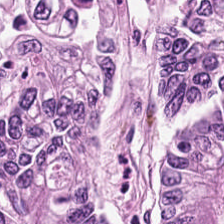The tissue type is colorectal adenocarcinoma epithelium.
